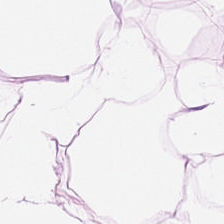Stain: H&E.
Tissue: adipose.
